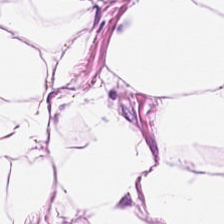Brightfield; H&E. Adipose.
